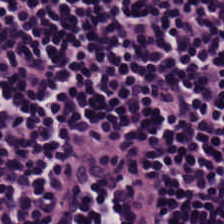Finding — lymphoid infiltrate.
